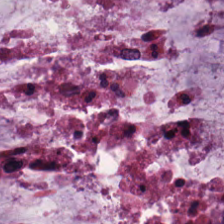Hematoxylin-and-eosin stained section · FFPE. Classification: mucus.
